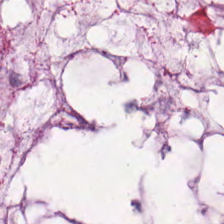Hematoxylin and eosin.
Q: Identify the tissue.
A: Extracellular mucin.
